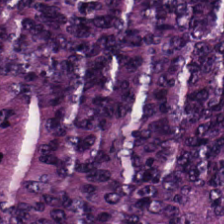Hematoxylin and eosin. Predominantly colorectal adenocarcinoma epithelium.
